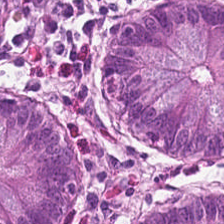Stain: H&E-stained tissue section.
Acquisition: whole-slide-image patch.
Tissue type: non-neoplastic colon mucosa.
